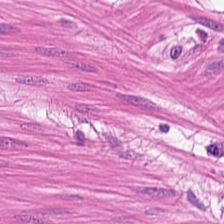Hematoxylin-and-eosin stained section.
Showing smooth-muscle tissue.
